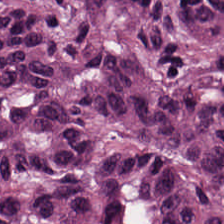Hematoxylin-and-eosin stained section.
The predominant tissue is colorectal adenocarcinoma.
